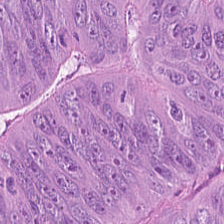Hematoxylin-and-eosin stained section. Colorectal adenocarcinoma epithelium.
